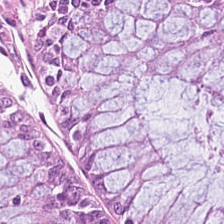WSI patch · H&E-stained tissue section — The tissue here is non-neoplastic colon mucosa.
